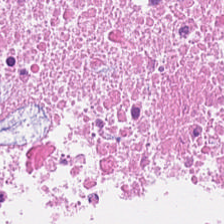Stain: hematoxylin-and-eosin stained section.
Tissue type: necrotic debris.
